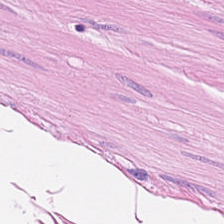Hematoxylin-and-eosin stained section — This field is muscularis.
